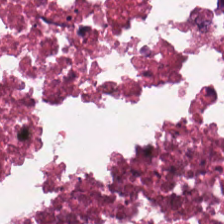FFPE · H&E stain — {"tissue_type": "cellular debris"}
